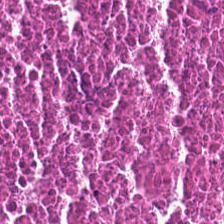Stain: H&E-stained tissue section.
Tissue class: debris.
